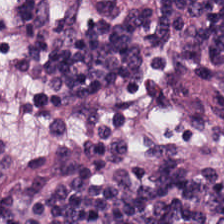H&E — Predominantly lymphoid infiltrate.
